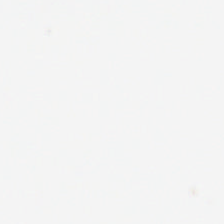Classification: no tissue.
